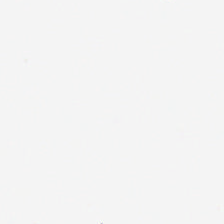Classification: no tissue.
